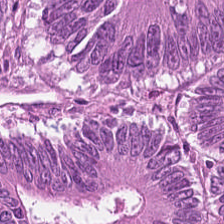Stain: hematoxylin-and-eosin stained section.
Tissue type: tumor epithelium.
